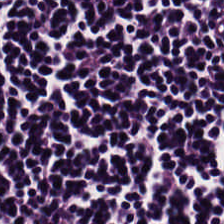Hematoxylin-and-eosin stained section.
Tissue = lymphocyte aggregate.
